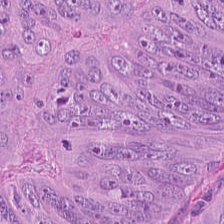H&E stain — This patch shows adenocarcinoma.
